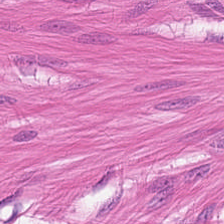Hematoxylin-and-eosin stained section. Brightfield. 20× equivalent magnification.
Q: What is the predominant tissue type?
A: The field shows smooth muscle.
